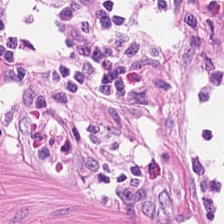224×224 px patch; H&E — Impression → smooth muscle.
